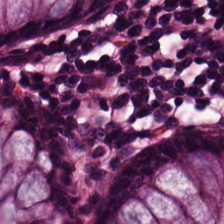224×224 pixel tile; H&E-stained tissue section. Showing benign colonic mucosa.
